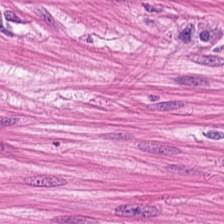Hematoxylin-and-eosin stained section. The tissue here is muscularis.
